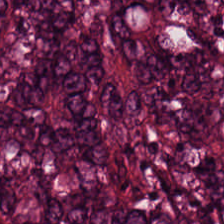Q: What tissue is shown?
A: Colorectal adenocarcinoma.
